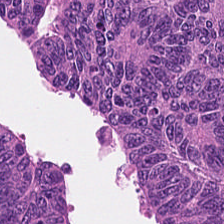H&E — Q: Classify this patch.
A: This is adenocarcinoma.
